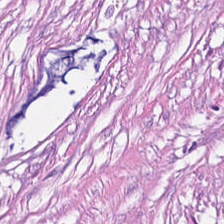H&E.
This field is tumor stroma.
